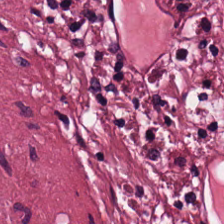H&E stain. 0.5 µm/px. The tissue type is tumor stroma.
